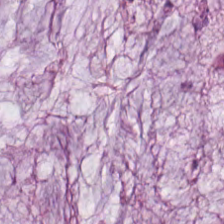H&E-stained tissue section. Showing extracellular mucin.
